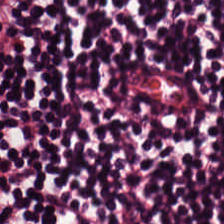Finding → lymphoid infiltrate.
